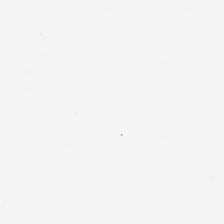FFPE tissue section; H&E — Q: What is shown here?
A: It is background (no tissue).
